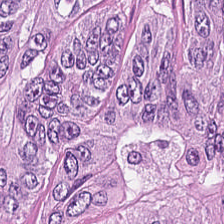Hematoxylin-and-eosin stained section — Histology — malignant epithelium.
